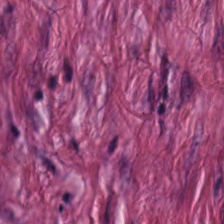224×224 px tile. Whole-slide-image patch. H&E.
Tissue class = desmoplastic stroma.
